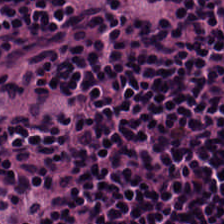Finding — lymphoid infiltrate.
